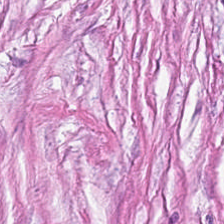Hematoxylin-and-eosin stained section.
{"tissue_type": "cancer-associated stroma"}
